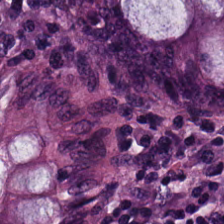H&E stain; 0.5 µm/px; WSI patch — Tissue class = non-neoplastic colon mucosa.
